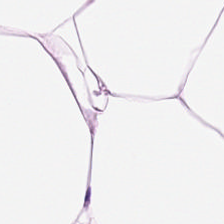Hematoxylin and eosin — Predominant tissue: adipose tissue.
